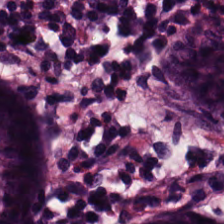H&E stain; 224×224 px patch — Q: What type of tissue is this?
A: It is normal colon mucosa.
